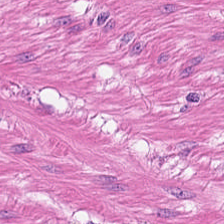Hematoxylin and eosin. The predominant tissue is smooth muscle.
